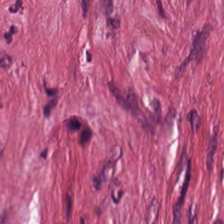H&E stain. Finding — tumor stroma.
